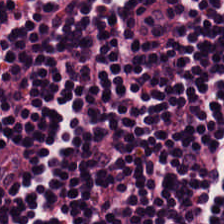0.5 microns per pixel; hematoxylin and eosin. Impression — lymphocyte aggregate.
